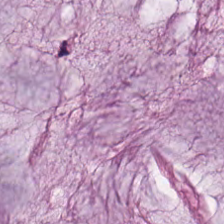20× equivalent magnification · brightfield · H&E-stained tissue section — Impression → mucus.
